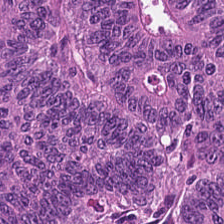H&E-stained tissue section.
Histology — adenocarcinoma.
